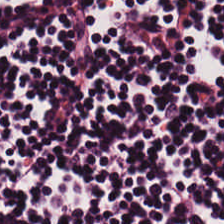224×224 px patch; 20× equivalent magnification; H&E stain — Tissue type: lymphocytic infiltrate.
